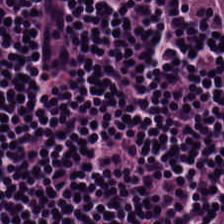224×224 px tile; hematoxylin-and-eosin stained section. This patch shows lymphocyte aggregate.
